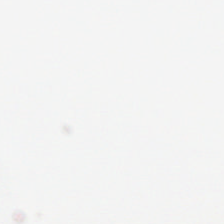FFPE; H&E stain; brightfield microscopy. This patch shows background (no tissue).
